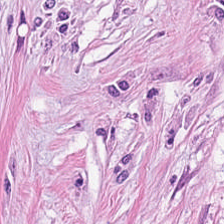H&E — {"tissue_type": "tumor-associated stroma"}
